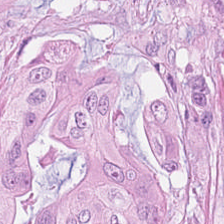H&E stain. The predominant tissue is colorectal adenocarcinoma epithelium.
